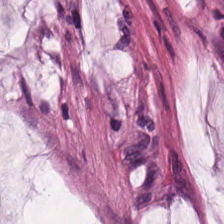Mucin.
